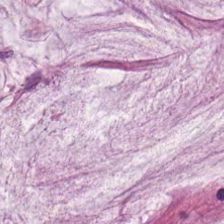H&E stain · 20× equivalent magnification. Q: Identify the tissue.
A: It is mucin.
